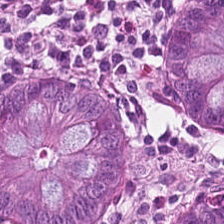Formalin-fixed paraffin-embedded section; hematoxylin-and-eosin stained section — Classification — non-neoplastic colon mucosa.
